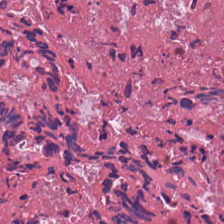Stain: H&E-stained tissue section.
Predominant tissue: necrotic debris.
